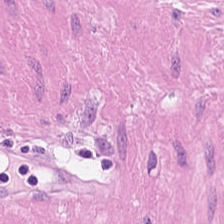Hematoxylin and eosin.
Tissue: muscularis.
